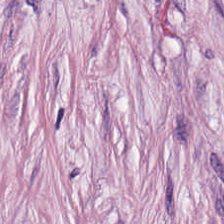Brightfield microscopy; hematoxylin and eosin; formalin-fixed paraffin-embedded section — The tissue type is tumor stroma.
